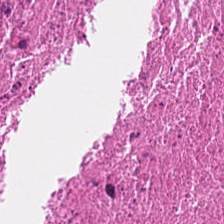Hematoxylin and eosin — Tissue type — necrotic debris.
